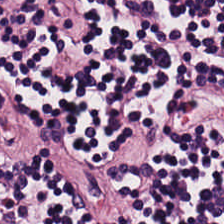20× equivalent magnification · formalin-fixed paraffin-embedded section · hematoxylin and eosin.
Q: What tissue is shown?
A: Lymphoid infiltrate.
